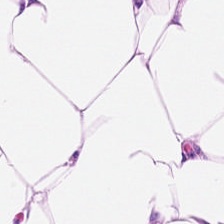Stain: hematoxylin and eosin.
Preparation: formalin-fixed paraffin-embedded section.
Classification: adipose tissue.
